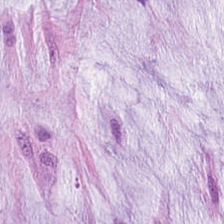Whole-slide-image patch · H&E · 20× equivalent magnification. This field is mucus.
